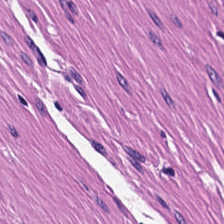Hematoxylin and eosin — Tissue class = muscularis.
